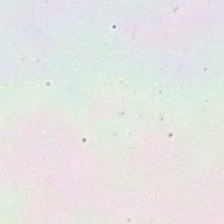0.5 µm per pixel. Whole-slide-image patch. Hematoxylin and eosin — This patch shows background (no tissue).
